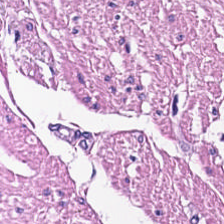Brightfield microscopy · 224×224 pixel tile · hematoxylin and eosin — Predominant tissue — muscularis.
